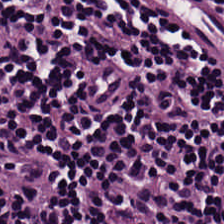H&E; 0.5 µm per pixel. Tissue: lymphocytic infiltrate.
